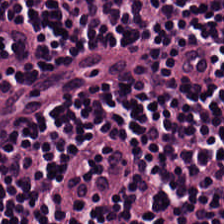WSI patch; hematoxylin-and-eosin stained section.
The predominant tissue is lymphocyte aggregate.
